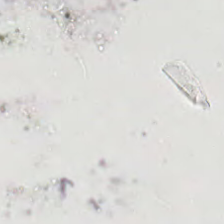224×224 px tile · H&E stain · 20× equivalent magnification. Q: What is shown in this field?
A: This is empty background.
